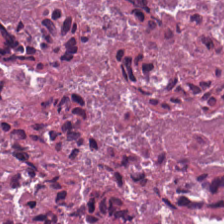H&E-stained tissue section — This patch shows necrotic debris.
